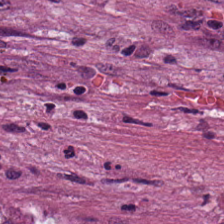Showing desmoplastic stroma.
